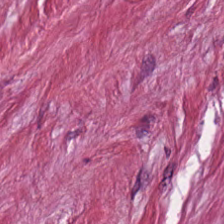Hematoxylin and eosin. The tissue here is tumor-associated stroma.
